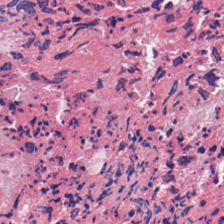FFPE tissue section. H&E stain. Debris.
